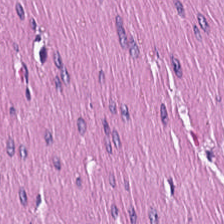Hematoxylin-and-eosin stained section — Showing smooth muscle.
